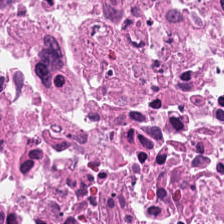H&E-stained tissue section.
Q: What tissue is shown?
A: It is cellular debris.
